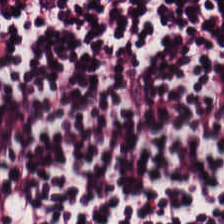Q: What tissue is shown?
A: It is lymphocytic infiltrate.
